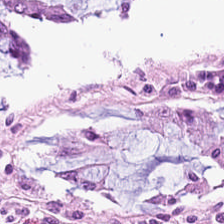224×224 px tile · hematoxylin-and-eosin stained section · brightfield microscopy. Finding → normal colon mucosa.
